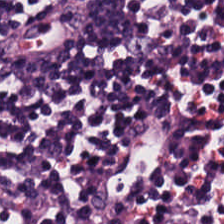Hematoxylin and eosin — The tissue here is lymphocyte aggregate.
